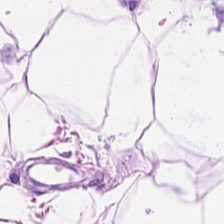Hematoxylin-and-eosin stained section — Finding → adipocytes.
